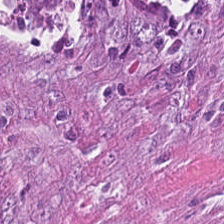Showing malignant epithelium.
